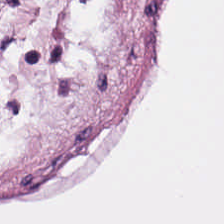H&E patch showing fat tissue.
